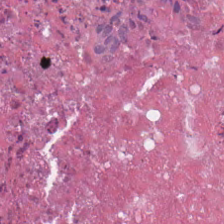Predominant tissue: necrotic debris.
